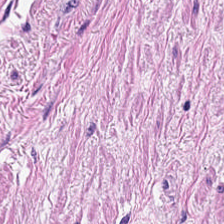H&E-stained tissue section — {"tissue_type": "smooth-muscle tissue"}
